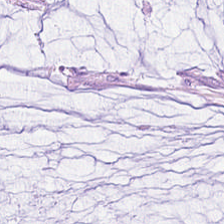The predominant tissue is extracellular mucin.
